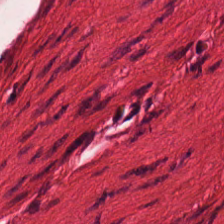Hematoxylin-and-eosin stained section — Showing smooth muscle.
